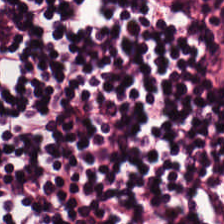H&E · 224×224 px patch.
Tissue type: lymphoid infiltrate.
